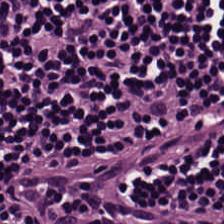Stain: H&E-stained tissue section.
Tissue: lymphocytic infiltrate.
